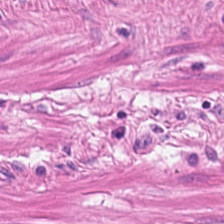H&E stain.
Impression — smooth muscle.
